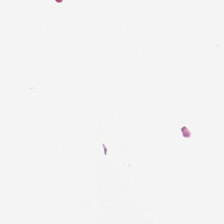H&E stain.
Content: empty background.
